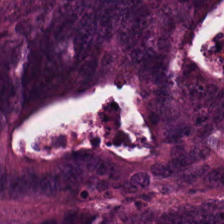Hematoxylin and eosin — The tissue is malignant epithelium.
